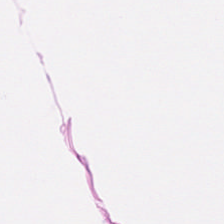H&E.
The tissue type is muscularis.
